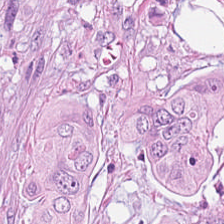H&E stain. Tissue type: malignant epithelium.
